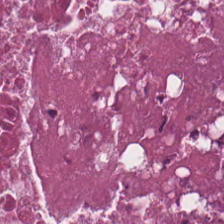0.5 µm/px; H&E stain; 224×224 px patch.
Q: What type of tissue is this?
A: Debris.
